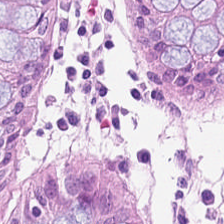224×224 px tile · hematoxylin-and-eosin stained section · FFPE. The tissue is non-neoplastic colon mucosa.
